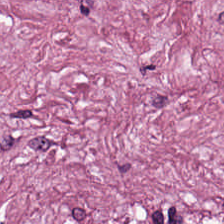0.5 µm per pixel. Hematoxylin-and-eosin stained section. The tissue is cancer-associated stroma.
